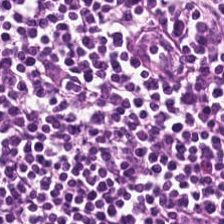H&E-stained tissue section · 20× equivalent magnification. Predominantly lymphocyte aggregate.
